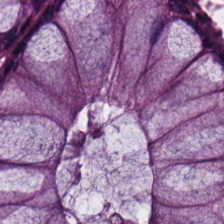Hematoxylin-and-eosin stained section — The tissue is benign colonic mucosa.
